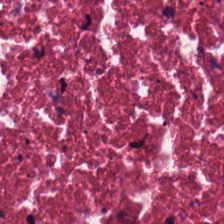H&E-stained tissue section. Tissue type = debris.
